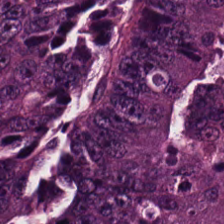H&E · 0.5 µm per pixel · formalin-fixed paraffin-embedded section — Tissue type = colorectal adenocarcinoma.
